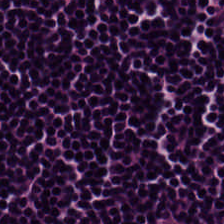Stain: H&E.
Classification: lymphocyte aggregate.
